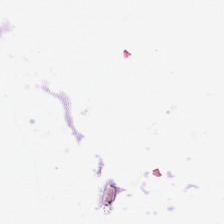H&E stain.
This patch shows no tissue.
